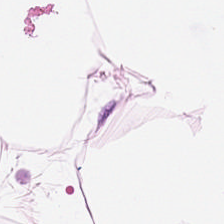H&E — This field is adipose.
